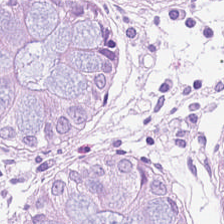H&E-stained tissue section — Finding — benign colonic mucosa.
